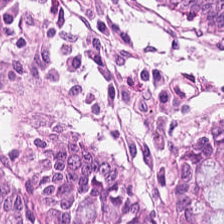Stain: H&E.
Tissue type: non-neoplastic colon mucosa.
